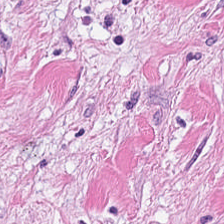Hematoxylin-and-eosin section: cancer-associated stroma.
